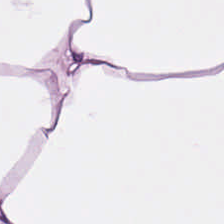224×224 pixel tile. H&E-stained tissue section — Tissue = adipose.
